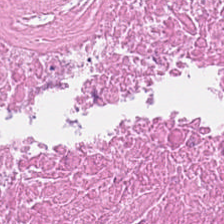0.5 microns per pixel; formalin-fixed paraffin-embedded section; H&E — Q: What does this patch show?
A: The field shows cellular debris.
